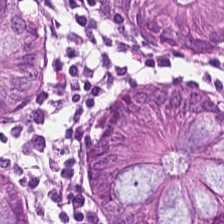Brightfield; hematoxylin-and-eosin stained section. Tissue: normal colon mucosa.
